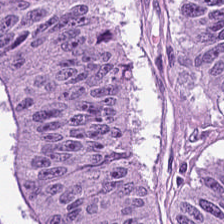H&E stain.
{"tissue_type": "malignant epithelium"}
